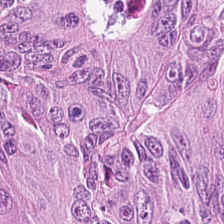H&E-stained tissue section — Tissue class: tumor epithelium.
